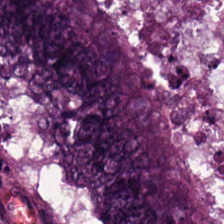H&E-stained tissue section. The predominant tissue is colorectal adenocarcinoma epithelium.
